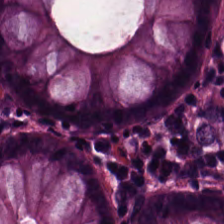Stain: hematoxylin-and-eosin stained section.
Tissue: non-neoplastic colon mucosa.
